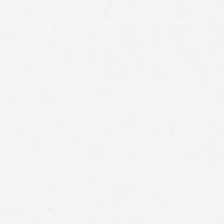This field is background (no tissue).
